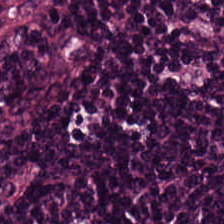Tissue class: lymphoid infiltrate.
